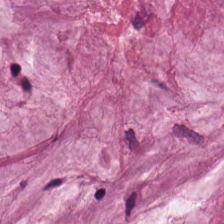Q: What is shown here?
A: It is mucin.
